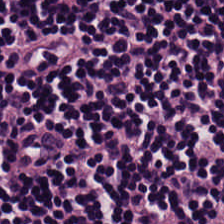Hematoxylin and eosin. Q: Classify this patch.
A: The field shows lymphocyte aggregate.
